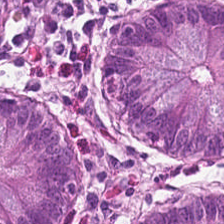224×224 pixel tile. Hematoxylin and eosin — Impression → normal colonic mucosa.
